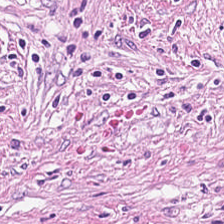Tissue type = desmoplastic stroma.
